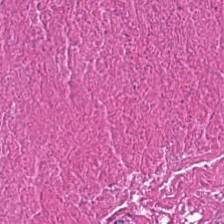224×224 px patch; brightfield microscopy; hematoxylin-and-eosin stained section.
{"tissue_type": "cellular debris"}
